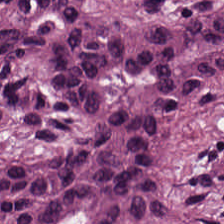Hematoxylin and eosin; whole-slide-image patch. Colorectal adenocarcinoma.
